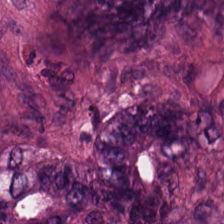Stain: hematoxylin-and-eosin stained section.
Resolution: 20× equivalent magnification.
Tissue type: tumor epithelium.
